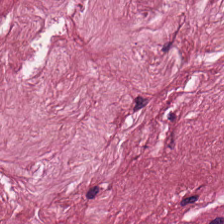Hematoxylin and eosin; 0.5 µm per pixel — The tissue here is tumor-associated stroma.
